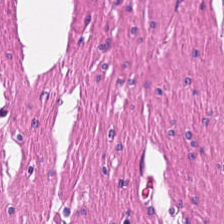FFPE. H&E. 224×224 px patch. This field is smooth muscle.
